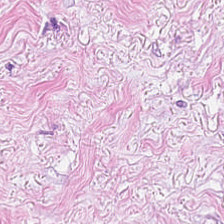H&E.
Impression → desmoplastic stroma.
